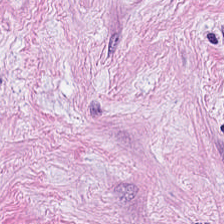Stain: hematoxylin and eosin.
Acquisition: WSI patch.
Predominant tissue: desmoplastic stroma.
